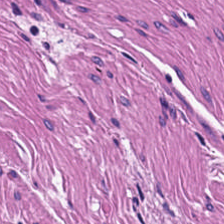{"tissue_type": "smooth-muscle tissue"}
